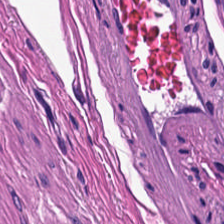WSI patch; hematoxylin-and-eosin stained section — Impression — muscularis.
